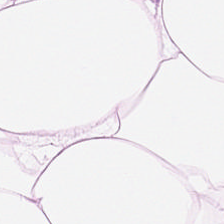Hematoxylin-and-eosin section: adipocytes.
